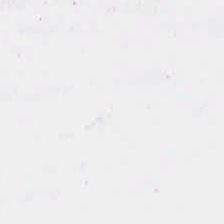Whole-slide-image patch · 224×224 px tile · H&E stain. Classification = background (no tissue).
